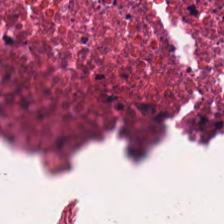Brightfield microscopy · H&E-stained tissue section. Q: What is the predominant tissue type?
A: This is debris.
